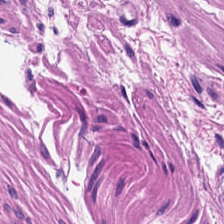Stain: H&E stain.
Preparation: FFPE.
Tissue: smooth muscle.
